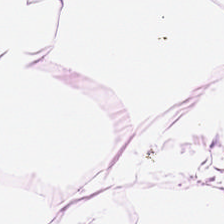H&E.
The tissue type is adipose.
